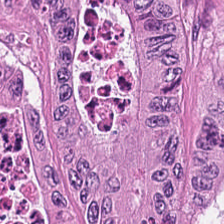0.5 µm per pixel; H&E; FFPE — Histology — colorectal adenocarcinoma.
